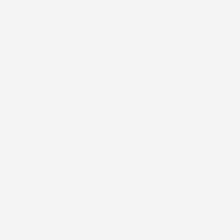H&E stain. This field is background (no tissue).
